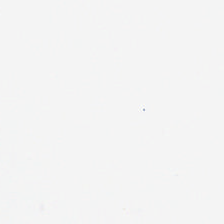This field is background (no tissue).
